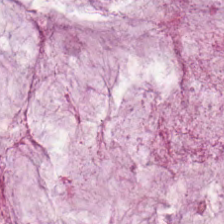Hematoxylin-and-eosin stained section · FFPE tissue section.
Tissue type = mucus.
